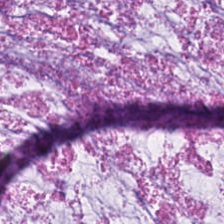Tissue type = mucin.
